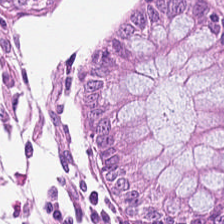H&E-stained tissue section.
Q: What is the predominant tissue type?
A: Normal colon mucosa.
